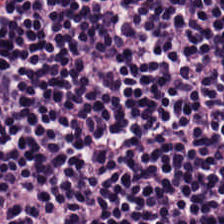Finding — lymphocyte aggregate.
